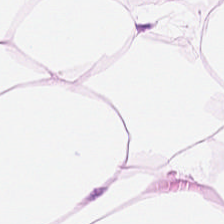H&E-stained tissue section — Predominant tissue: adipose.
